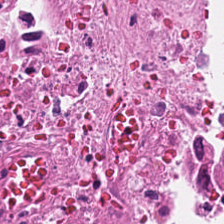H&E patch showing necrotic debris.
